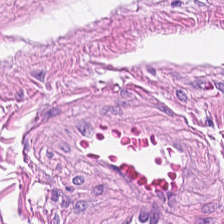H&E. Smooth muscle.
